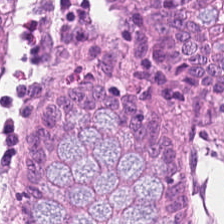224×224 pixel tile; hematoxylin and eosin — Q: What is shown in this field?
A: This is non-neoplastic colon mucosa.
